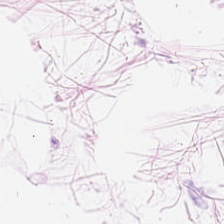FFPE tissue section · H&E stain.
{"tissue_type": "adipose tissue"}
